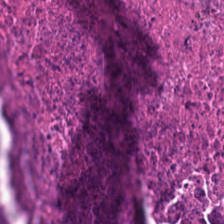Stain: H&E.
Tile size: 224×224 px patch.
Classification: necrotic debris.
